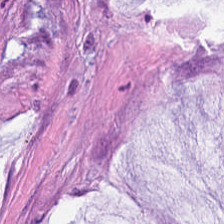Q: What tissue type is shown here?
A: It is extracellular mucin.
